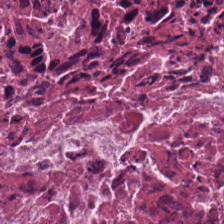Hematoxylin and eosin; whole-slide-image patch — The tissue class is debris.
